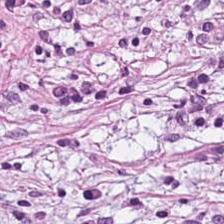Brightfield; hematoxylin-and-eosin stained section. {"tissue_type": "tumor-associated stroma"}
